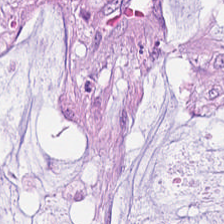Stain: H&E stain.
Tissue: extracellular mucin.
